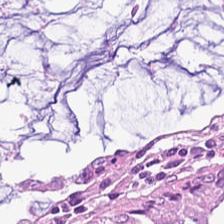Tissue type — non-neoplastic colon mucosa.
